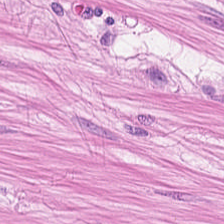Stain: H&E-stained tissue section.
Preparation: FFPE.
Tissue type: smooth-muscle tissue.
